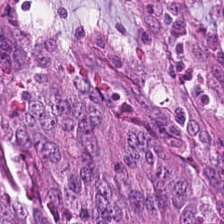H&E; formalin-fixed paraffin-embedded section; 224×224 pixel tile — Showing colorectal adenocarcinoma.
